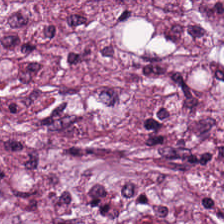Hematoxylin and eosin — {"tissue_type": "tumor-associated stroma"}
